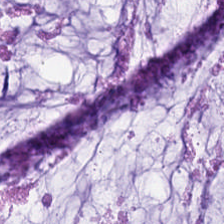Formalin-fixed paraffin-embedded section; H&E-stained tissue section.
Showing mucin.
